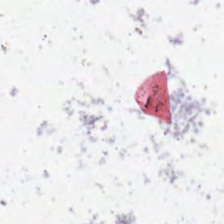Field content — no tissue.
